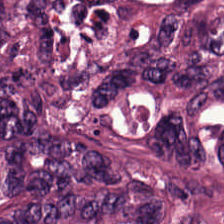FFPE tissue section. Brightfield. H&E. Impression — malignant epithelium.
